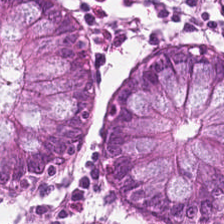H&E.
Predominant tissue: normal colonic mucosa.
